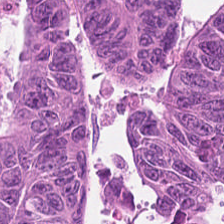Hematoxylin-and-eosin stained section.
This patch shows tumor epithelium.
